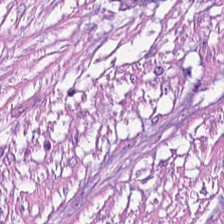H&E — Q: What type of tissue is this?
A: This is tumor stroma.
